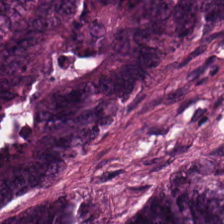Hematoxylin-and-eosin stained section; formalin-fixed paraffin-embedded section. {"tissue_type": "tumor epithelium"}
